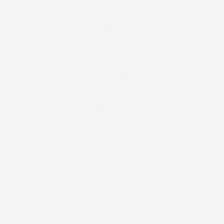Hematoxylin and eosin.
Background — no tissue in this field.
